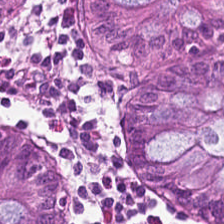H&E.
The tissue here is normal colon mucosa.
